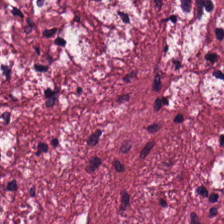Stain: hematoxylin-and-eosin stained section.
Tile size: 224×224 px patch.
Acquisition: brightfield microscopy.
Classification: tumor-associated stroma.
